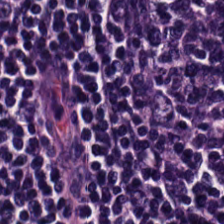Stain: H&E-stained tissue section.
Resolution: 0.5 µm/px.
Tissue class: lymphocytic infiltrate.
